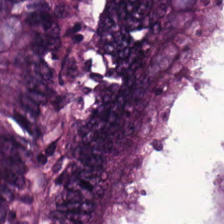H&E stain · brightfield. Predominantly adenocarcinoma.
